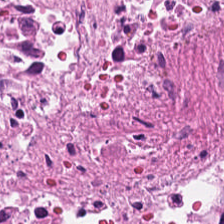Hematoxylin and eosin. Impression — necrotic debris.
